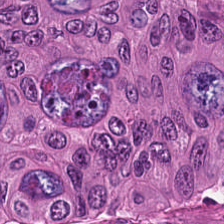Hematoxylin-and-eosin stained section.
The predominant tissue is colorectal adenocarcinoma epithelium.
